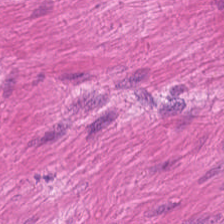H&E-stained tissue section. Showing muscularis.
